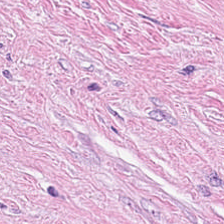Formalin-fixed paraffin-embedded section. Hematoxylin-and-eosin stained section. 224×224 pixel tile — Q: What tissue is shown?
A: This is tumor-associated stroma.
